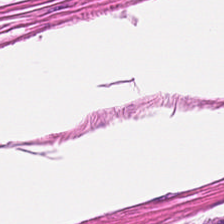Hematoxylin-and-eosin section: muscularis.
